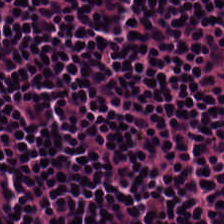Hematoxylin-and-eosin stained section. Q: What tissue is shown?
A: This is lymphoid infiltrate.
